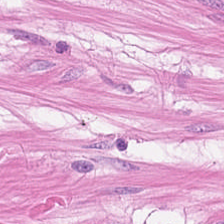Hematoxylin and eosin — {"tissue_type": "smooth-muscle tissue"}
